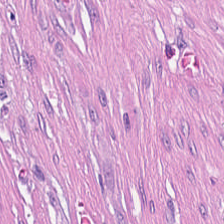{"tissue_type": "tumor stroma"}
